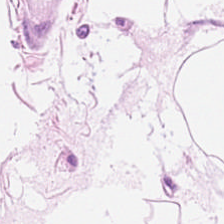H&E-stained tissue section — Adipose.
